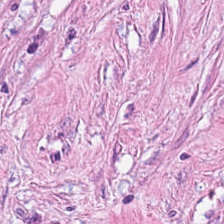Tissue class — tumor-associated stroma.
